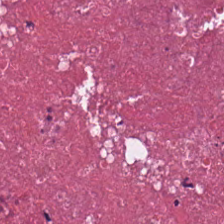The predominant tissue is cellular debris.
